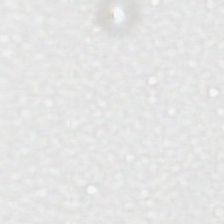Histology → background.
